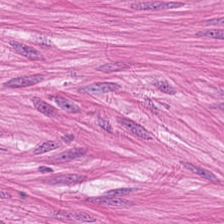H&E-stained tissue section showing muscularis.
